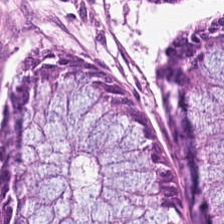H&E-stained tissue section; 0.5 µm per pixel — Q: Identify the tissue.
A: Normal colon mucosa.
